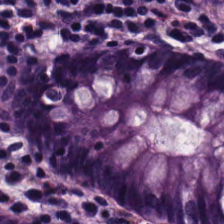Predominantly normal colonic mucosa.
